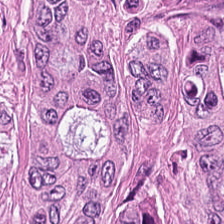H&E — Histology — tumor epithelium.
